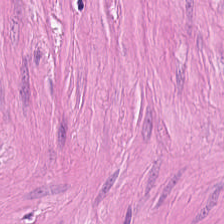Stain: hematoxylin and eosin.
Resolution: 0.5 microns per pixel.
Tissue: smooth-muscle tissue.
